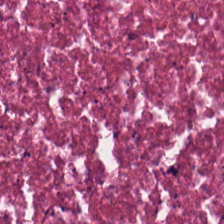H&E-stained tissue section. Q: What tissue type is shown here?
A: Debris.
